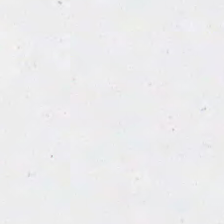Brightfield microscopy. H&E stain. Field content — empty background.
